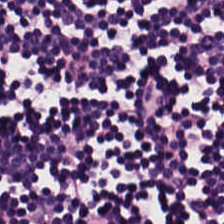224×224 px patch. Hematoxylin and eosin. Formalin-fixed paraffin-embedded section. Lymphocytic infiltrate.
